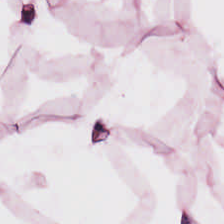Predominantly adipose.
